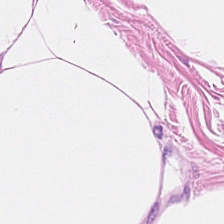H&E-stained tissue section — Adipose tissue.
